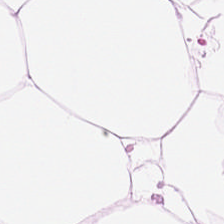Hematoxylin and eosin; WSI patch; 0.5 µm/px.
Predominantly adipose tissue.
